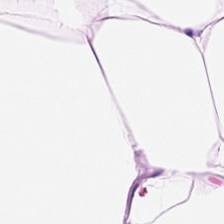Stain: H&E.
Acquisition: whole-slide-image patch.
Resolution: 0.5 µm per pixel.
Tissue type: adipose tissue.
